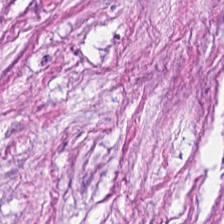Stain: H&E-stained tissue section.
Classification: tumor stroma.
